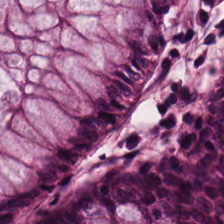H&E — Tissue = normal colon mucosa.
